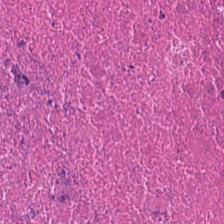Hematoxylin-and-eosin stained section. Q: What does this patch show?
A: Necrotic debris.
